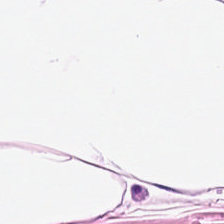H&E stain.
Q: What is shown in this field?
A: The field shows fat tissue.
